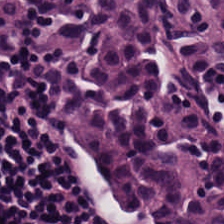Tissue type: lymphocyte aggregate.
